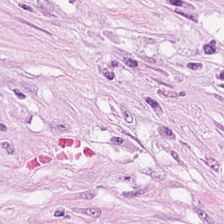The predominant tissue is desmoplastic stroma.
